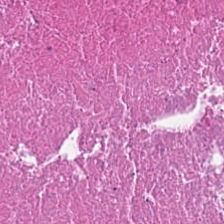Stain: H&E stain.
Preparation: FFPE tissue section.
Tissue: necrotic debris.
